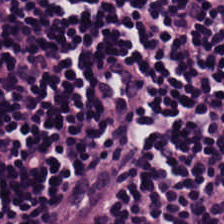H&E stain; 0.5 µm/px. This patch shows lymphocytic infiltrate.
